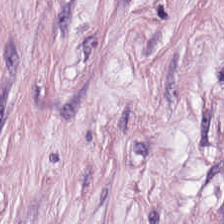H&E-stained tissue section — Predominantly tumor stroma.
